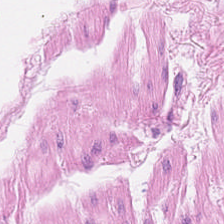Hematoxylin and eosin.
Q: What is shown in this field?
A: It is smooth muscle.
